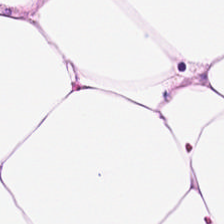H&E · brightfield microscopy. This field is adipocytes.
